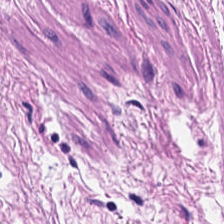Whole-slide-image patch. 224×224 px tile. H&E stain. Q: What tissue is shown?
A: This is smooth-muscle tissue.
